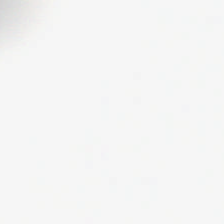The field content is empty background.
